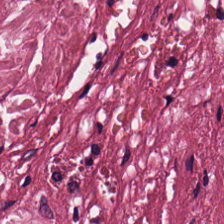Stain: H&E-stained tissue section.
Preparation: formalin-fixed paraffin-embedded section.
Acquisition: WSI patch.
Predominant tissue: tumor stroma.
